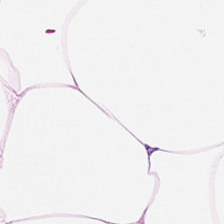Hematoxylin and eosin; formalin-fixed paraffin-embedded section.
Predominantly adipose tissue.
